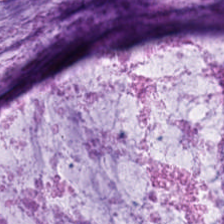224×224 px tile. Hematoxylin and eosin. The tissue class is mucus.
